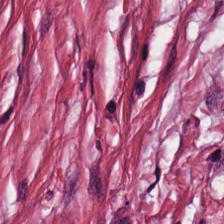H&E; 224×224 px tile. Cancer-associated stroma.
